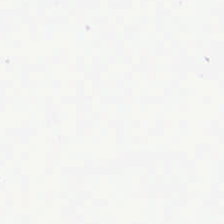H&E-stained tissue section · FFPE · 0.5 µm per pixel.
Classification: background (no tissue).
